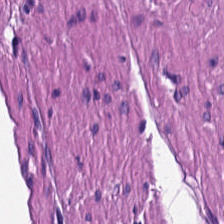Hematoxylin and eosin — Histology → muscularis.
